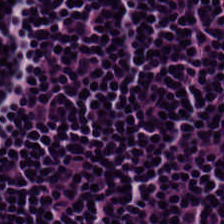Tissue = lymphocytes.
